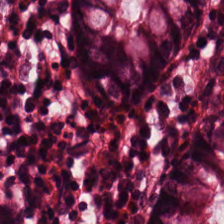Stain: hematoxylin and eosin.
Tile size: 224×224 px tile.
Tissue class: benign colonic mucosa.
